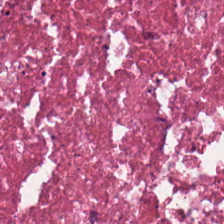224×224 px tile · H&E · brightfield microscopy — Tissue class: debris.
